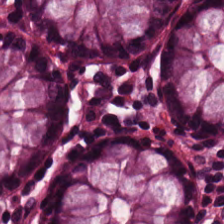Hematoxylin-and-eosin stained section.
Predominant tissue = normal colon mucosa.
